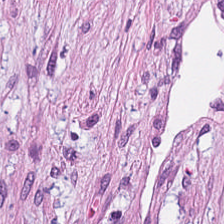Stain: hematoxylin and eosin.
Classification: tumor-associated stroma.
